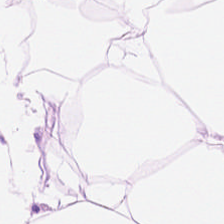H&E. FFPE tissue section.
The tissue here is adipose.
